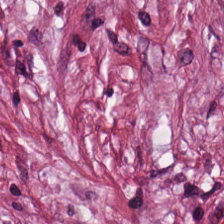Stain: hematoxylin-and-eosin stained section.
Predominant tissue: tumor-associated stroma.
